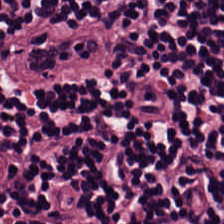Hematoxylin-and-eosin stained section.
Q: What is the predominant tissue type?
A: The field shows lymphocytic infiltrate.
